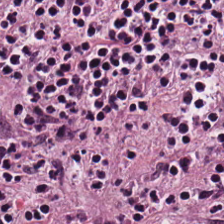Tissue type: lymphocytes.
